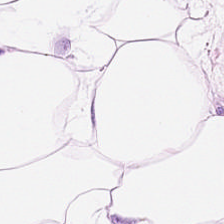H&E; WSI patch. Finding → adipocytes.
